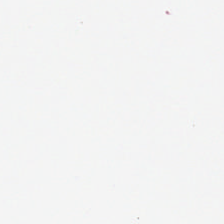Hematoxylin-and-eosin stained section.
Q: What does this patch show?
A: This is no tissue.
